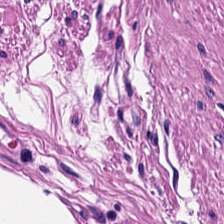Q: What does this patch show?
A: Smooth muscle.
